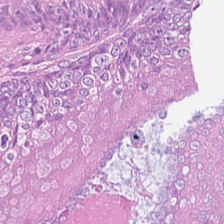224×224 px patch · H&E-stained tissue section · FFPE tissue section.
The predominant tissue is adenocarcinoma.
